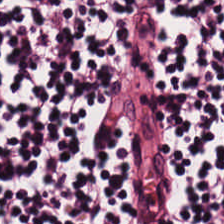Stain: hematoxylin-and-eosin stained section.
Acquisition: whole-slide-image patch.
Resolution: 20× equivalent magnification.
Tissue class: lymphocytes.
